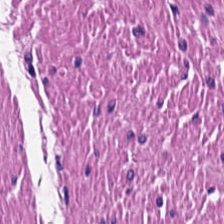Impression — smooth-muscle tissue.
